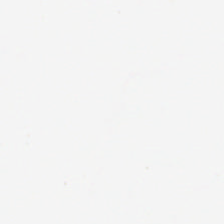224×224 px tile; H&E; FFPE tissue section.
Field content = background.
